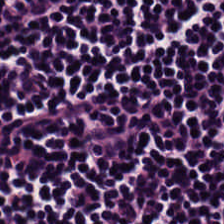H&E-stained section; the field shows lymphoid infiltrate.
